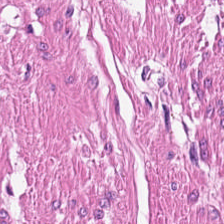H&E.
Histology → smooth muscle.
